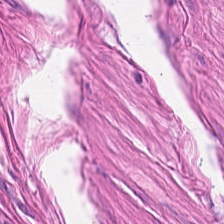H&E · 224×224 px patch · FFPE — Predominantly smooth-muscle tissue.
